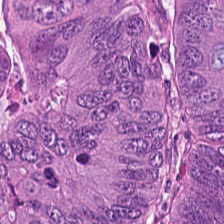Formalin-fixed paraffin-embedded section · 224×224 px patch · hematoxylin-and-eosin stained section — Tissue: tumor epithelium.
